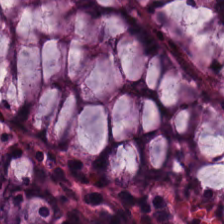224×224 pixel tile · hematoxylin-and-eosin stained section · formalin-fixed paraffin-embedded section.
This patch shows benign colonic mucosa.
